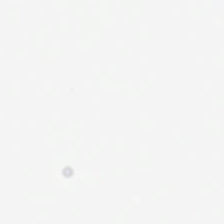H&E; 224×224 pixel tile; 20× equivalent magnification — Classification = empty background.
